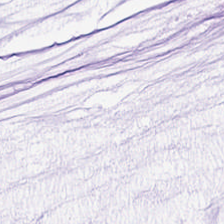Finding — mucus.
